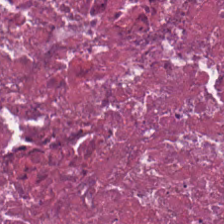224×224 px patch. H&E.
Showing debris.
